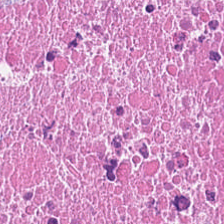H&E; whole-slide-image patch. This field is necrotic debris.
